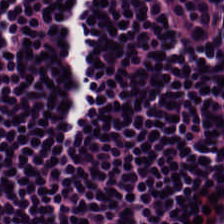20× equivalent magnification. H&E stain.
Q: Classify this patch.
A: This is lymphocyte aggregate.
